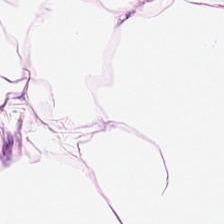H&E-stained tissue section · 20× equivalent magnification — This patch shows adipocytes.
